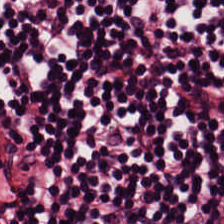Stain: H&E.
Tissue type: lymphocytes.
